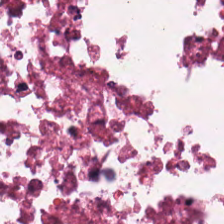WSI patch; hematoxylin-and-eosin stained section — This field is debris.
